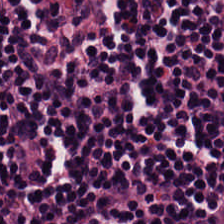FFPE tissue section · hematoxylin and eosin — This patch shows lymphocytes.
